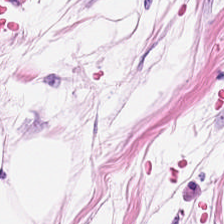H&E; 20× equivalent magnification — The tissue here is adipose.
